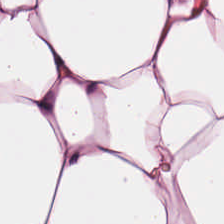Hematoxylin and eosin.
Tissue class: adipocytes.
